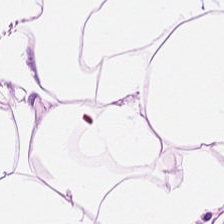H&E-stained tissue section.
Fat tissue.
